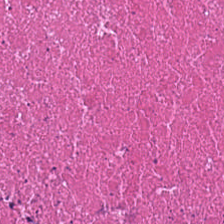H&E · 20× equivalent magnification · 224×224 pixel tile — This patch shows cellular debris.
